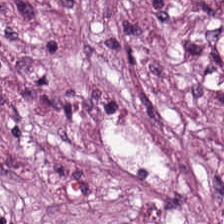The predominant tissue is desmoplastic stroma.
